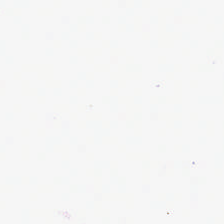224×224 px patch; WSI patch; H&E. Q: Classify this patch.
A: This is background (no tissue).
